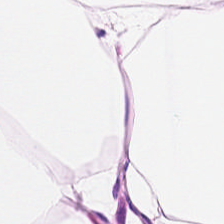Hematoxylin and eosin · 224×224 pixel tile.
The tissue is fat tissue.
